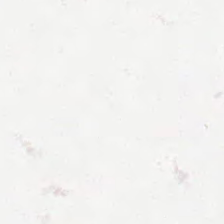Hematoxylin-and-eosin stained section — Content — no tissue.
